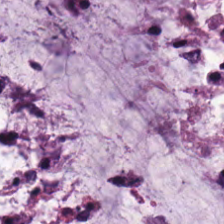H&E; FFPE — Tissue type = mucus.
